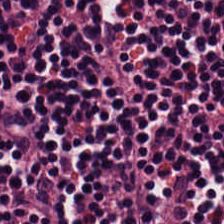Hematoxylin-and-eosin stained section — Finding — lymphocytic infiltrate.
